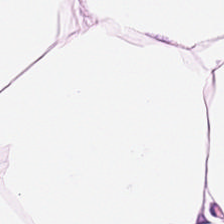H&E · FFPE · whole-slide-image patch. {"tissue_type": "adipocytes"}
